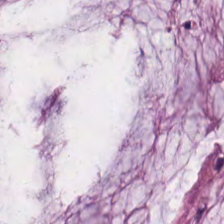Q: What does this patch show?
A: The field shows mucus.
